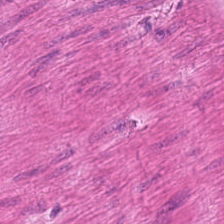H&E stain.
The predominant tissue is muscularis.
